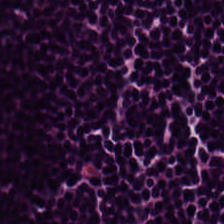Hematoxylin and eosin. The tissue here is lymphoid infiltrate.
